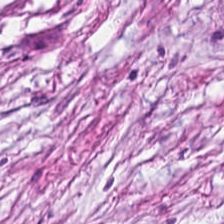Tissue = tumor stroma.
